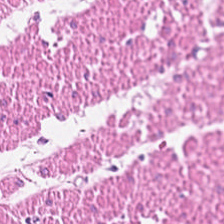Hematoxylin and eosin. Q: Classify this patch.
A: The field shows smooth muscle.
